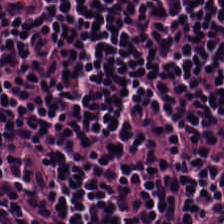Stain: hematoxylin-and-eosin stained section.
Classification: lymphocytes.
